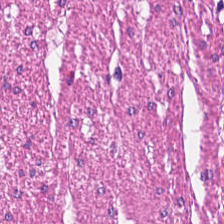H&E — The tissue here is muscularis.
